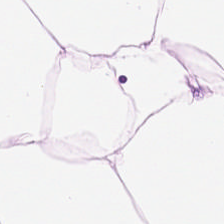FFPE · H&E. {"tissue_type": "adipose"}
